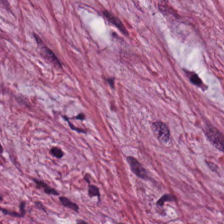H&E stain — {"tissue_type": "tumor stroma"}
